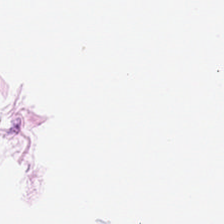H&E stain. This field is adipose tissue.
